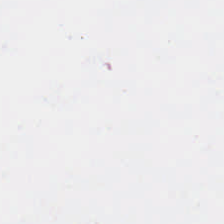Hematoxylin and eosin. 0.5 µm/px. Background — no tissue in this field.
